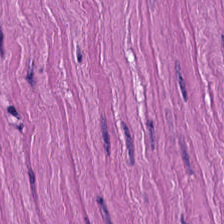H&E-stained tissue section; FFPE; 224×224 px patch — {"tissue_type": "smooth muscle"}
